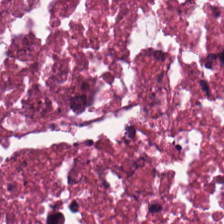20× equivalent magnification; H&E; formalin-fixed paraffin-embedded section.
{"tissue_type": "necrotic debris"}
